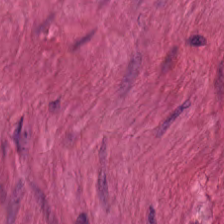Q: What is shown in this field?
A: It is smooth-muscle tissue.
